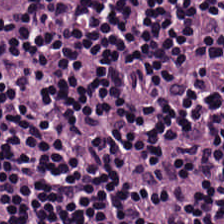WSI patch; H&E-stained tissue section.
The classification is lymphocyte aggregate.
